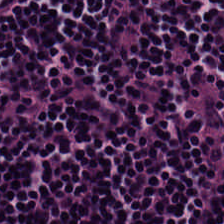H&E stain. FFPE.
This patch shows lymphocyte aggregate.
